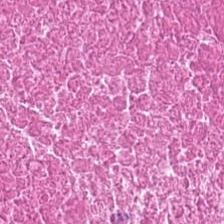H&E-stained tissue section. The predominant tissue is cellular debris.
